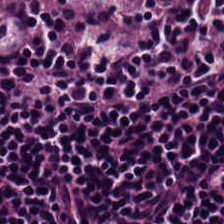The tissue here is lymphoid infiltrate.
